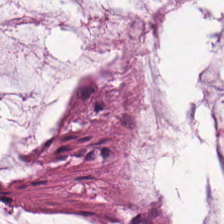Whole-slide-image patch; H&E stain; 224×224 px patch — Predominant tissue: extracellular mucin.
